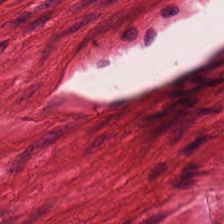H&E stain. {"tissue_type": "smooth-muscle tissue"}
